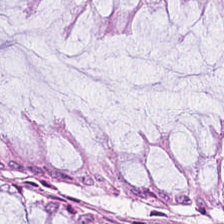Brightfield; H&E stain; formalin-fixed paraffin-embedded section. Tissue = normal colon mucosa.
